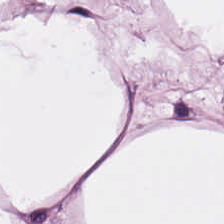H&E-stained tissue section — Q: What tissue is shown?
A: It is fat tissue.
